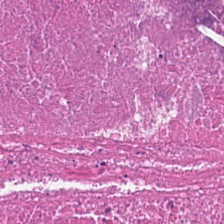WSI patch. 224×224 px tile. Hematoxylin and eosin. Debris.
